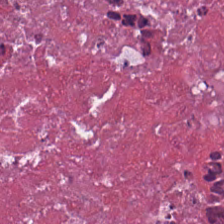Tissue class: cellular debris.
